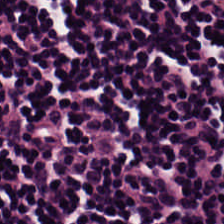H&E.
Q: Classify this patch.
A: This is lymphoid infiltrate.
